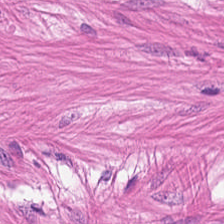0.5 µm per pixel. H&E. 224×224 pixel tile — Tissue class: muscularis.
